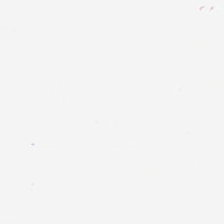Hematoxylin and eosin.
The classification is no tissue.
